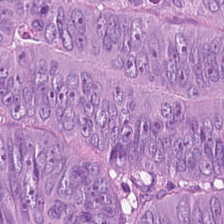H&E; 224×224 px patch; 20× equivalent magnification.
Finding → tumor epithelium.
